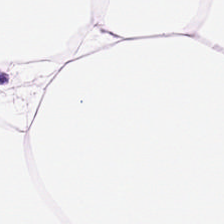H&E-stained tissue section.
This patch shows fat tissue.
